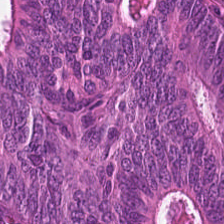224×224 px tile · H&E-stained tissue section. Q: What tissue is shown?
A: Malignant epithelium.
